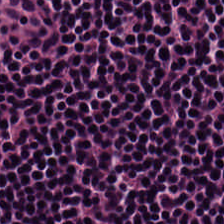H&E-stained tissue section · brightfield.
Q: What is the predominant tissue type?
A: The field shows lymphocyte aggregate.
